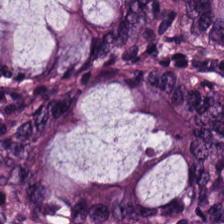H&E — This patch shows benign colonic mucosa.
